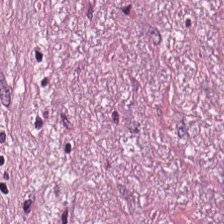Hematoxylin and eosin — The predominant tissue is cancer-associated stroma.
